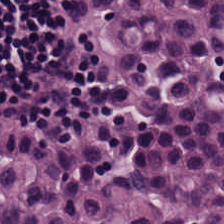Whole-slide-image patch. H&E.
Tissue class: lymphocytes.
